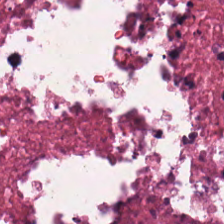H&E stain · brightfield microscopy.
Predominant tissue — cellular debris.
